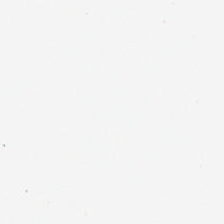H&E — {"content": "empty background"}
